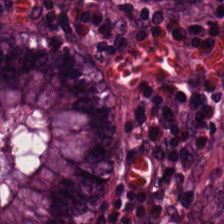H&E. FFPE tissue section. WSI patch — Predominantly non-neoplastic colon mucosa.
